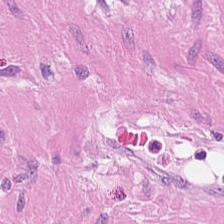H&E — smooth muscle.
